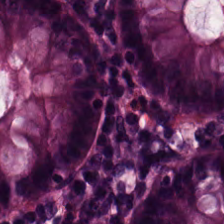H&E stain — Classification = normal colon mucosa.
